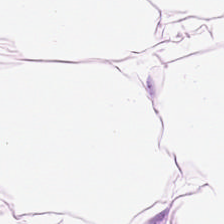H&E — Q: What is the predominant tissue type?
A: It is fat tissue.
